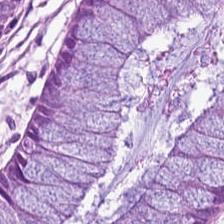Q: Classify this patch.
A: Normal colonic mucosa.
